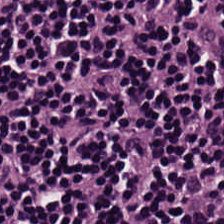Stain: H&E.
Tissue class: lymphocytic infiltrate.
